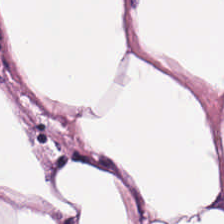Hematoxylin-and-eosin stained section.
Adipose tissue.
